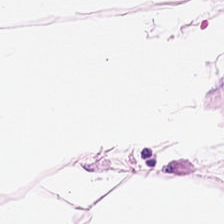WSI patch · hematoxylin and eosin · 224×224 pixel tile — Predominantly adipose.
